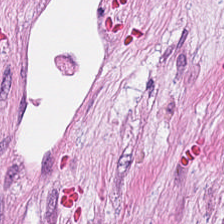0.5 µm per pixel · H&E stain · 224×224 px patch — Q: What is the predominant tissue type?
A: The field shows cancer-associated stroma.
